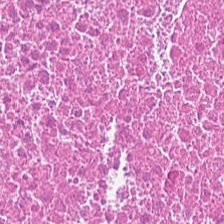{"tissue_type": "necrotic debris"}
